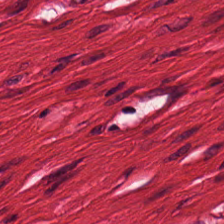H&E-stained tissue section · 224×224 px patch. Tissue — smooth-muscle tissue.
